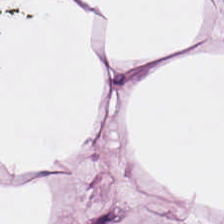0.5 µm/px · hematoxylin-and-eosin stained section.
Fat tissue.
